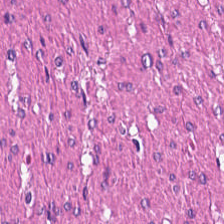H&E stain — Q: What does this patch show?
A: The field shows muscularis.
